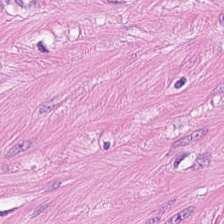H&E-stained tissue section.
Histology — smooth-muscle tissue.
